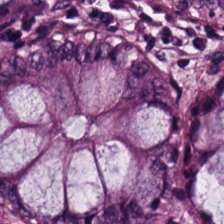H&E-stained tissue section — The classification is normal colon mucosa.
